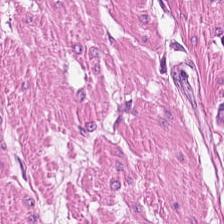Finding — smooth-muscle tissue.
